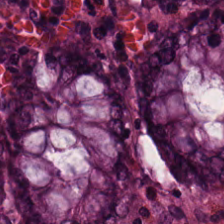Predominantly benign colonic mucosa.
